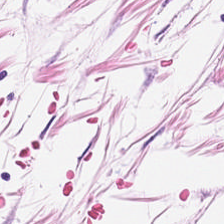224×224 px patch; H&E-stained tissue section; WSI patch — Fat tissue.
